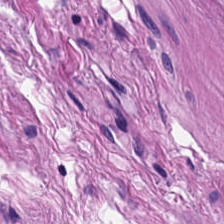Hematoxylin and eosin; 0.5 µm/px; 224×224 pixel tile. Tissue type = smooth-muscle tissue.
